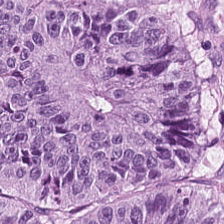224×224 px tile · hematoxylin and eosin. Adenocarcinoma.
